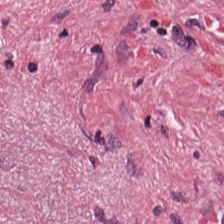20× equivalent magnification; H&E stain.
{"tissue_type": "tumor stroma"}
